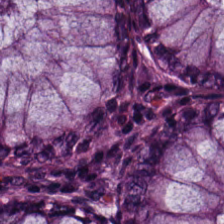H&E. WSI patch.
Tissue type — normal colonic mucosa.
